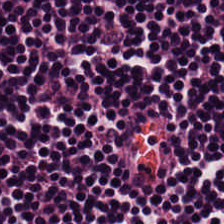H&E; WSI patch — The predominant tissue is lymphocytic infiltrate.
